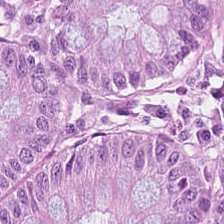WSI patch · H&E-stained tissue section · 224×224 px patch — This patch shows normal colonic mucosa.
